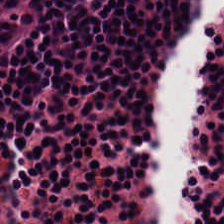Q: What is shown in this field?
A: The field shows lymphoid infiltrate.
